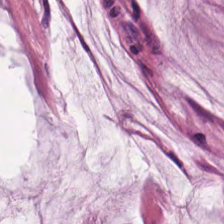Mucin.
